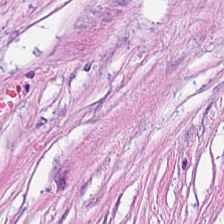Tissue class = tumor-associated stroma.
